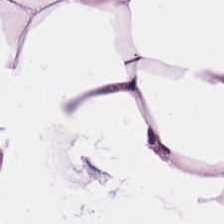Stain: H&E stain.
Resolution: 20× equivalent magnification.
Classification: adipose tissue.
